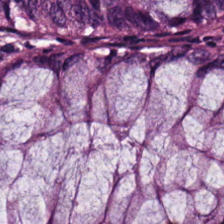H&E-stained tissue section — Q: What is shown in this field?
A: The field shows normal colonic mucosa.
